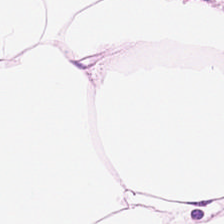Hematoxylin and eosin — Q: Identify the tissue.
A: Fat tissue.
